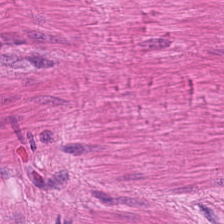Stain: H&E-stained tissue section.
Classification: muscularis.
